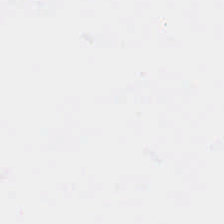Content — no tissue.
